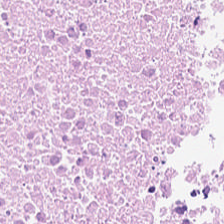224×224 px tile · hematoxylin-and-eosin stained section — The tissue class is necrotic debris.
